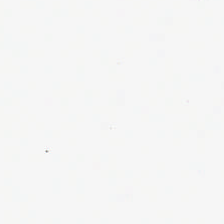Classification — background.
